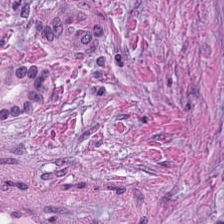Finding — tumor-associated stroma.
